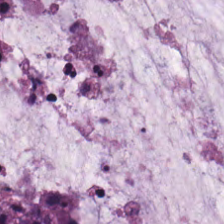Hematoxylin and eosin.
Q: Classify this patch.
A: The field shows extracellular mucin.
